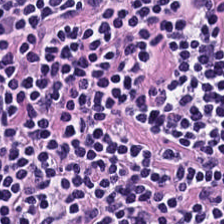H&E-stained tissue section. The predominant tissue is lymphocytes.
